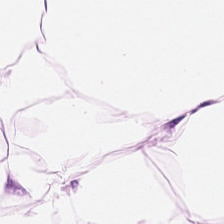FFPE. H&E. 20× equivalent magnification — This patch shows adipose tissue.
